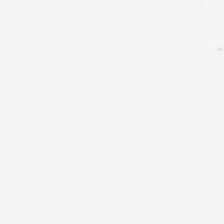Hematoxylin-and-eosin stained section. Content = background (no tissue).
